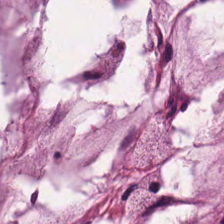Finding → extracellular mucin.
